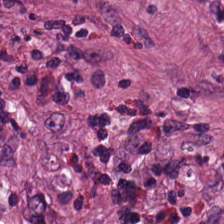Stain: hematoxylin-and-eosin stained section.
Classification: tumor-associated stroma.
